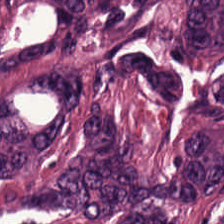WSI patch. Hematoxylin and eosin.
Finding — tumor epithelium.
